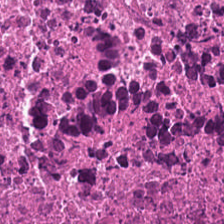0.5 µm per pixel · hematoxylin and eosin — Predominantly necrotic debris.
